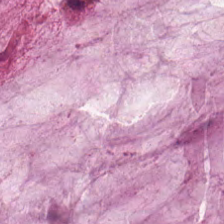H&E-stained tissue section.
The predominant tissue is mucin.
